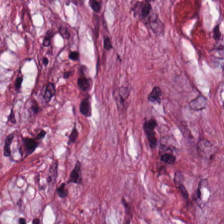H&E stain — This patch shows tumor-associated stroma.
